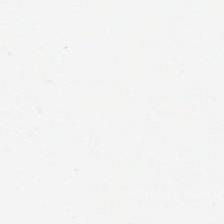Q: What does this patch show?
A: The field shows background.
